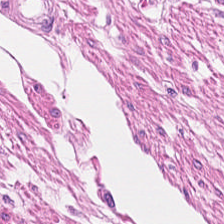Hematoxylin and eosin. Finding → smooth muscle.
